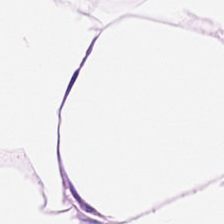H&E; FFPE tissue section; 0.5 microns per pixel.
Tissue type = adipocytes.
